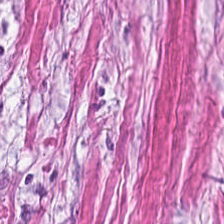0.5 µm/px; hematoxylin-and-eosin stained section. The classification is desmoplastic stroma.
